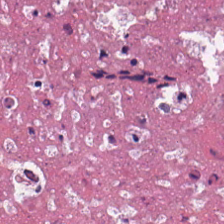0.5 microns per pixel. FFPE tissue section. H&E. Finding — debris.
